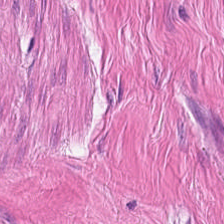Stain: hematoxylin and eosin.
Tissue: smooth-muscle tissue.
